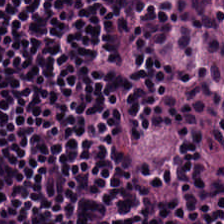Stain: hematoxylin-and-eosin stained section.
Preparation: FFPE.
Tissue class: lymphocytic infiltrate.
